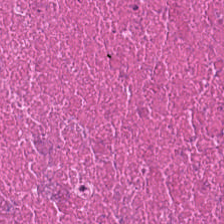Formalin-fixed paraffin-embedded section · hematoxylin and eosin. Showing debris.
